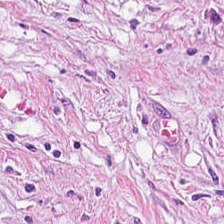Q: What tissue type is shown here?
A: This is desmoplastic stroma.
